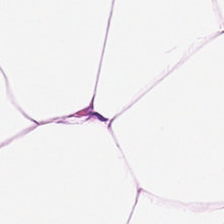H&E stain · FFPE tissue section.
This patch shows adipose tissue.
